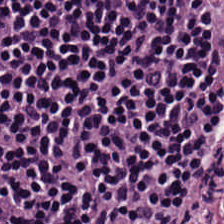Stain: H&E-stained tissue section.
Tissue type: lymphocytic infiltrate.
